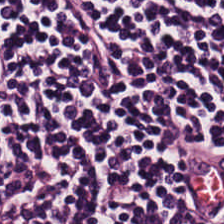H&E.
The predominant tissue is lymphocytes.
